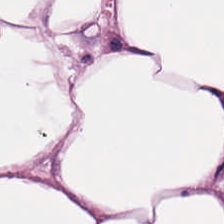Q: What is shown here?
A: This is fat tissue.
